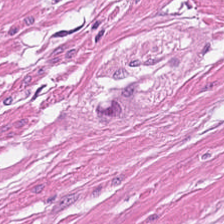H&E patch showing muscularis.
